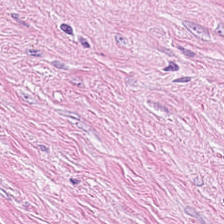Stain: H&E stain.
Resolution: 0.5 µm/px.
Predominant tissue: tumor stroma.
